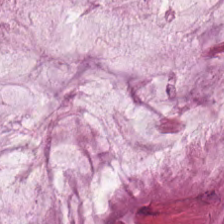This field is mucin.
